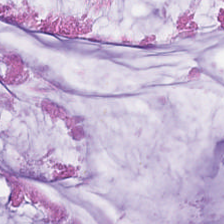Stain: H&E-stained tissue section.
Tissue class: mucus.
